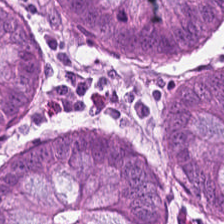H&E.
Q: What is the predominant tissue type?
A: This is normal colonic mucosa.
